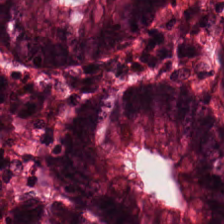Hematoxylin-and-eosin stained section — Predominantly non-neoplastic colon mucosa.
